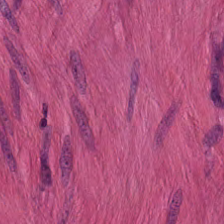Stain: H&E stain.
Tissue type: smooth-muscle tissue.
